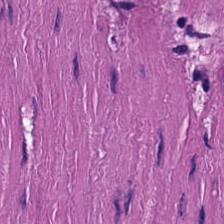Hematoxylin-and-eosin stained section — This field is smooth-muscle tissue.
